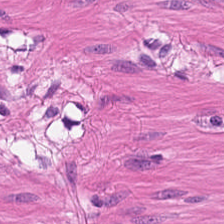Tissue type: smooth muscle.
